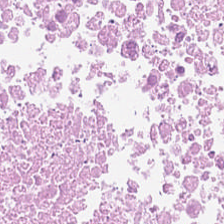Hematoxylin and eosin; formalin-fixed paraffin-embedded section.
Q: What type of tissue is this?
A: It is cellular debris.
